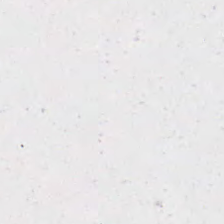Background.
